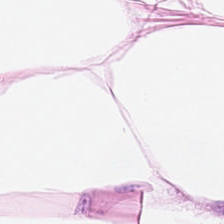Stain: hematoxylin and eosin.
Tissue type: fat tissue.
